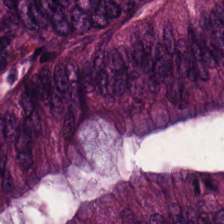H&E.
Q: What is shown here?
A: The field shows colorectal adenocarcinoma epithelium.
